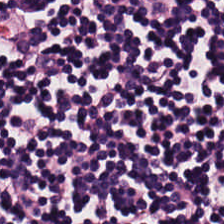Tissue type — lymphocytic infiltrate.
